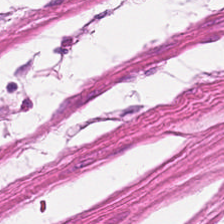H&E — Histology — muscularis.
